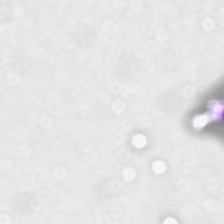Hematoxylin and eosin. WSI patch — Empty field — background (no tissue).
